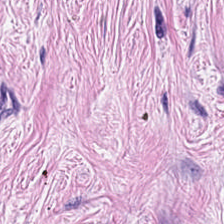Hematoxylin-and-eosin stained section. Cancer-associated stroma.
